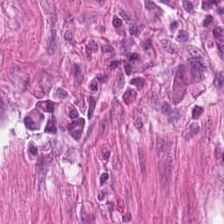Hematoxylin and eosin.
The tissue is smooth-muscle tissue.
